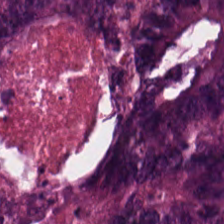The predominant tissue is malignant epithelium.
